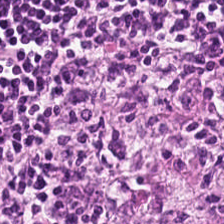Hematoxylin-and-eosin stained section.
Predominant tissue = lymphocytes.
